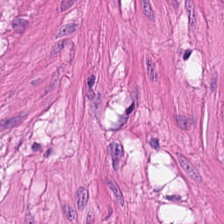Brightfield · hematoxylin-and-eosin stained section.
Predominantly smooth muscle.
